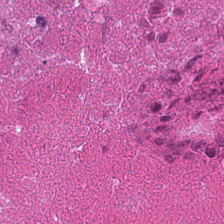Whole-slide-image patch; 224×224 px patch; hematoxylin and eosin — Classification: debris.
